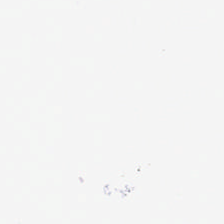H&E stain.
Q: What is shown here?
A: This is background.
